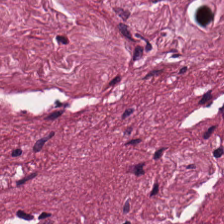224×224 pixel tile; 20× equivalent magnification; H&E-stained tissue section.
The predominant tissue is tumor-associated stroma.
